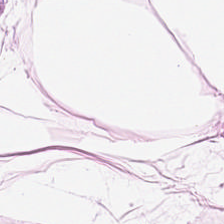Adipocytes.
